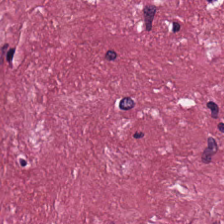Hematoxylin-and-eosin stained section · 224×224 px tile. Predominantly cancer-associated stroma.
